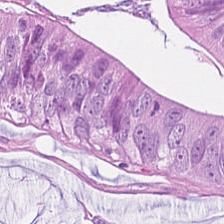Hematoxylin-and-eosin stained section — Colorectal adenocarcinoma epithelium.
